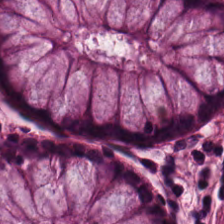Hematoxylin-and-eosin stained section · FFPE.
Q: What is shown in this field?
A: It is normal colonic mucosa.
